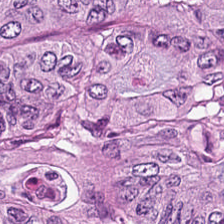Hematoxylin-and-eosin stained section. Histology — tumor epithelium.
